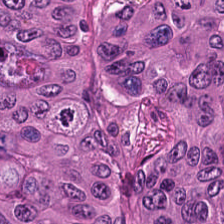H&E-stained tissue section — Classification: adenocarcinoma.
